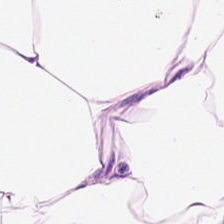H&E-stained tissue section. The predominant tissue is adipocytes.
